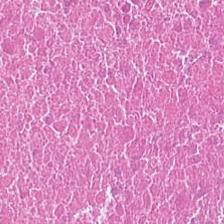Q: What tissue type is shown here?
A: This is necrotic debris.
